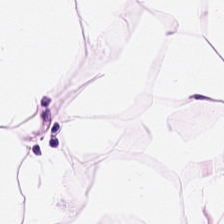H&E-stained tissue section.
Predominantly adipose tissue.
